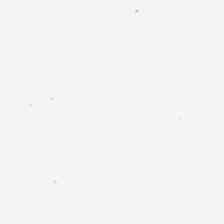The field content is background (no tissue).
